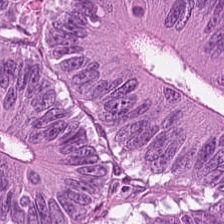Tissue type — malignant epithelium.
